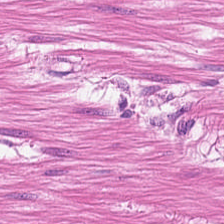H&E stain. Smooth muscle.
